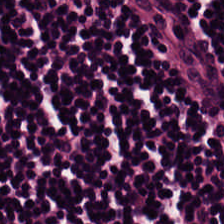H&E-stained tissue section. Lymphocyte aggregate.
